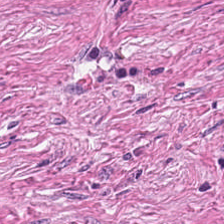Hematoxylin-and-eosin stained section — Q: Classify this patch.
A: The field shows cancer-associated stroma.
